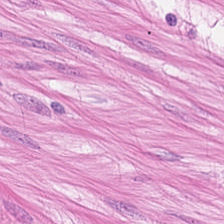Hematoxylin-and-eosin stained section. Histology → smooth-muscle tissue.
